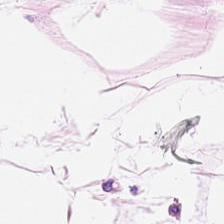Hematoxylin and eosin.
Histology → adipose tissue.
